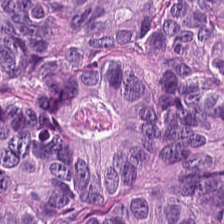Stain: hematoxylin-and-eosin stained section.
Tile size: 224×224 px patch.
Resolution: 0.5 µm/px.
Classification: colorectal adenocarcinoma epithelium.
